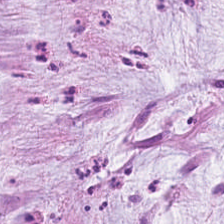H&E.
Mucin.
